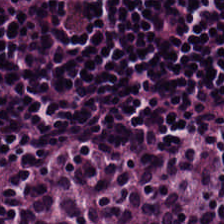Q: What does this patch show?
A: The field shows lymphocytic infiltrate.
